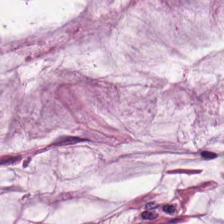Stain: H&E-stained tissue section.
Resolution: 0.5 microns per pixel.
Acquisition: WSI patch.
Tissue class: mucin.
